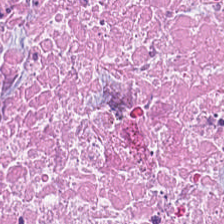H&E stain · 224×224 px patch.
{"tissue_type": "debris"}
